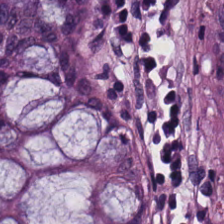H&E-stained tissue section. Formalin-fixed paraffin-embedded section. 224×224 px tile.
Q: What tissue is shown?
A: It is normal colon mucosa.
